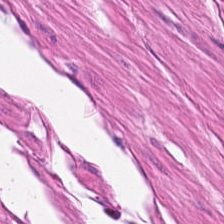H&E. Brightfield. 224×224 px tile.
Q: What is shown here?
A: It is smooth muscle.
